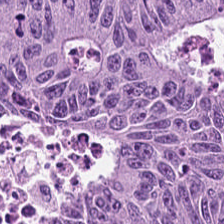FFPE tissue section · hematoxylin-and-eosin stained section.
Tissue type = malignant epithelium.
